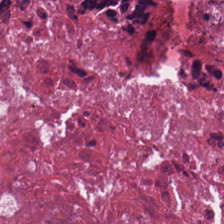H&E stain. 224×224 px tile.
Tissue: necrotic debris.
